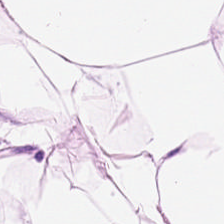H&E. Tissue — fat tissue.
